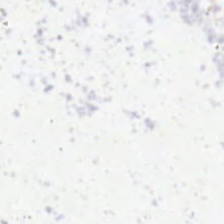Hematoxylin-and-eosin stained section · FFPE. This patch shows background (no tissue).
